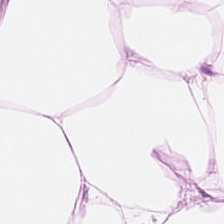H&E · whole-slide-image patch · 0.5 microns per pixel — Impression — fat tissue.
